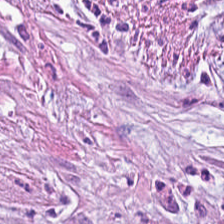Hematoxylin-and-eosin stained section. This patch shows desmoplastic stroma.
